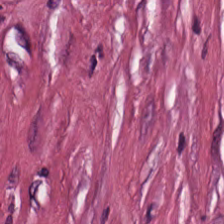224×224 px tile. Hematoxylin and eosin. 0.5 microns per pixel. Tissue = tumor-associated stroma.
